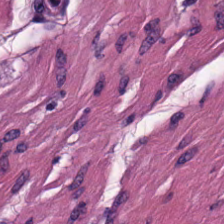Formalin-fixed paraffin-embedded section · H&E-stained tissue section — Q: What tissue type is shown here?
A: The field shows smooth muscle.
